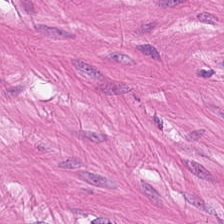H&E stain.
Showing smooth muscle.
